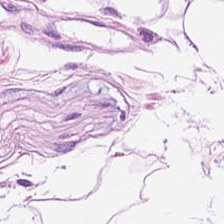Q: Classify this patch.
A: The field shows adipose tissue.
